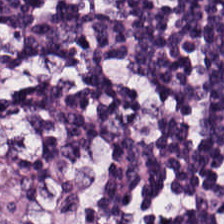H&E stain. The predominant tissue is lymphoid infiltrate.
